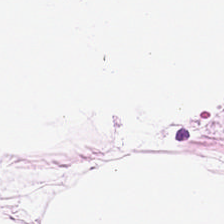Tissue type = fat tissue.
